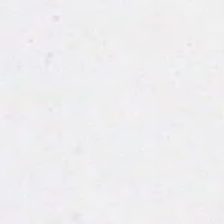H&E stain — This field is background (no tissue).
